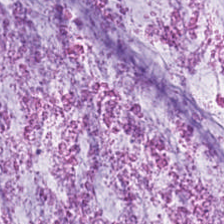Hematoxylin-and-eosin stained section. The predominant tissue is mucin.
